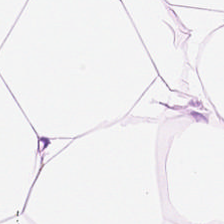This field is adipose tissue.
